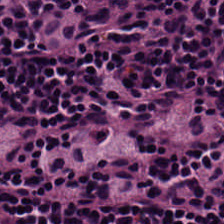H&E. 224×224 px patch. Whole-slide-image patch. Classification — lymphocyte aggregate.
